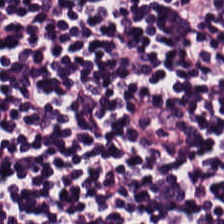Hematoxylin-and-eosin stained section.
Q: Classify this patch.
A: It is lymphocytes.
